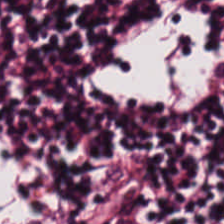Stain: hematoxylin and eosin.
Classification: lymphocyte aggregate.
